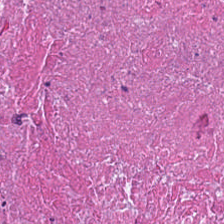H&E stain; whole-slide-image patch.
Q: What is shown in this field?
A: The field shows debris.
